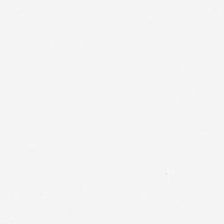Background — no tissue in this field.
